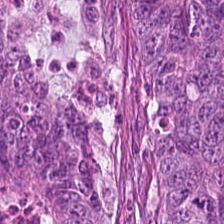H&E-stained tissue section — Showing malignant epithelium.
